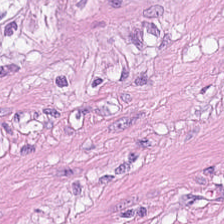The tissue type is smooth muscle.
